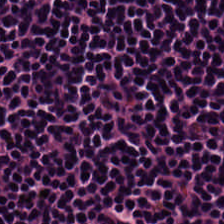Stain: hematoxylin-and-eosin stained section.
Predominant tissue: lymphocyte aggregate.
